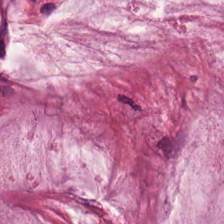Hematoxylin and eosin · whole-slide-image patch.
Tissue type — mucus.
